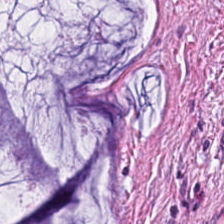FFPE. Hematoxylin-and-eosin stained section.
The predominant tissue is extracellular mucin.
